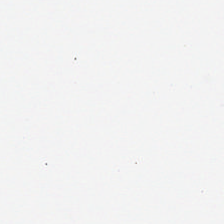The field content is empty background.
